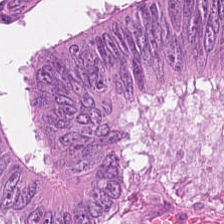H&E stain.
This patch shows tumor epithelium.
